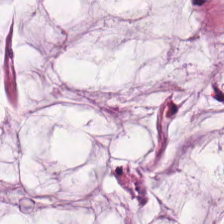Hematoxylin and eosin — Q: What is the predominant tissue type?
A: This is mucus.
